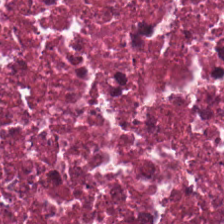H&E-stained tissue section. Predominantly debris.
